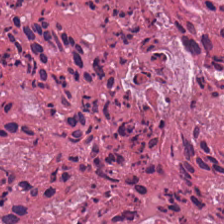Hematoxylin-and-eosin stained section. Debris.
